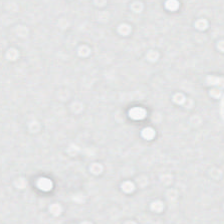0.5 µm per pixel; H&E stain; WSI patch — This patch shows background (no tissue).
